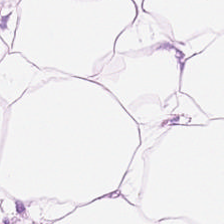Stain: hematoxylin and eosin.
Classification: adipocytes.
